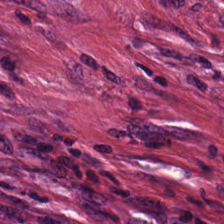Finding — desmoplastic stroma.
